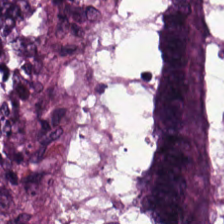H&E. Tissue class — tumor epithelium.
